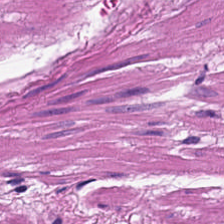Hematoxylin-and-eosin stained section. Predominantly smooth muscle.
